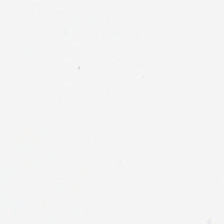224×224 px tile. Hematoxylin-and-eosin stained section. 0.5 microns per pixel — Empty background.
